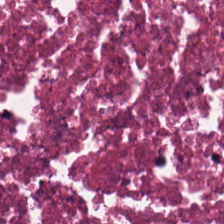Classification = debris.
